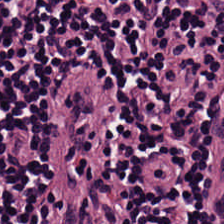Hematoxylin and eosin. This field is lymphocytic infiltrate.
